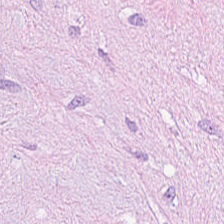Hematoxylin-and-eosin stained section. 0.5 microns per pixel. Formalin-fixed paraffin-embedded section. Impression → tumor stroma.
